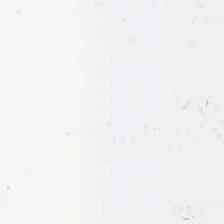H&E-stained tissue section — Content — background (no tissue).
